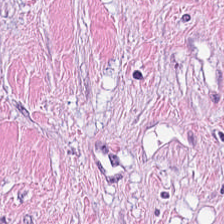H&E.
{"tissue_type": "tumor stroma"}
